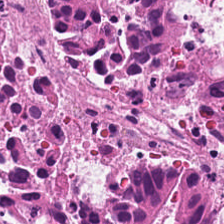Stain: H&E stain.
Tile size: 224×224 pixel tile.
Acquisition: brightfield microscopy.
Classification: cellular debris.
